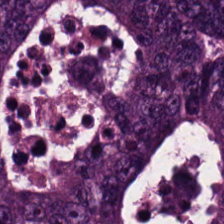H&E · 224×224 px tile — Predominantly colorectal adenocarcinoma.
